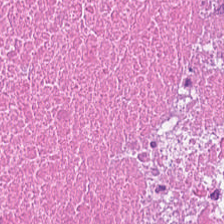Hematoxylin and eosin.
Q: What tissue type is shown here?
A: Cellular debris.
